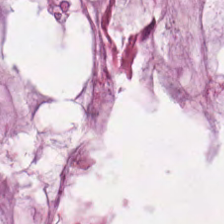Hematoxylin and eosin. Classification — extracellular mucin.
